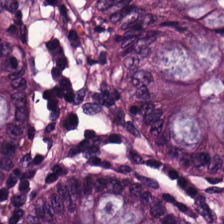H&E stain.
The tissue here is benign colonic mucosa.
